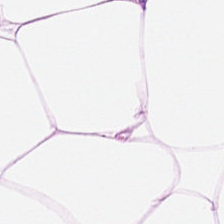Stain: hematoxylin-and-eosin stained section.
Tissue type: fat tissue.
